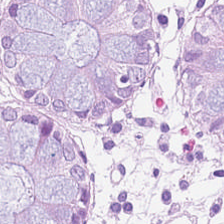The tissue here is normal colon mucosa.
